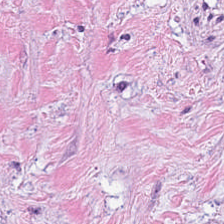H&E · FFPE tissue section · WSI patch.
Histology — desmoplastic stroma.
